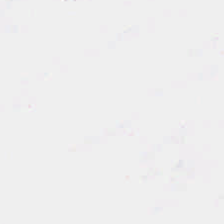WSI patch. H&E stain — No tissue present; background only.
